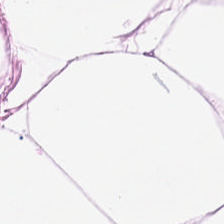H&E-stained tissue section · 20× equivalent magnification — Q: Classify this patch.
A: It is fat tissue.
